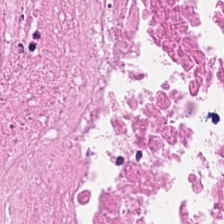Hematoxylin-and-eosin stained section.
Classification: necrotic debris.
